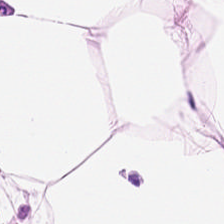Predominant tissue = adipose tissue.
